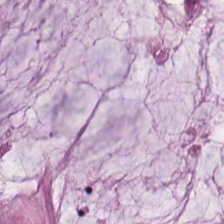224×224 px patch. 0.5 µm/px. Hematoxylin and eosin. Predominant tissue = extracellular mucin.
